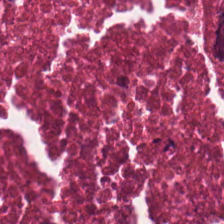H&E stain. Impression → debris.
